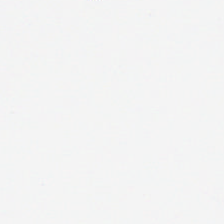Hematoxylin-and-eosin stained section. Brightfield — This patch shows no tissue.
